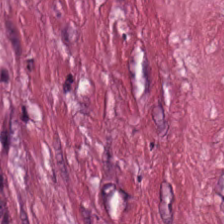Predominant tissue: tumor-associated stroma.
